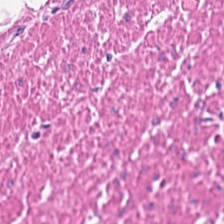Hematoxylin and eosin. 20× equivalent magnification. Showing smooth muscle.
